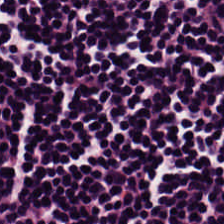FFPE. H&E-stained tissue section. Predominantly lymphoid infiltrate.
